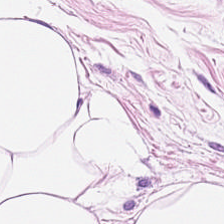Brightfield. Hematoxylin-and-eosin stained section. Tissue — adipose.
